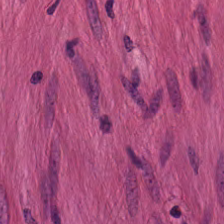H&E-stained tissue section. FFPE. Predominantly smooth muscle.
